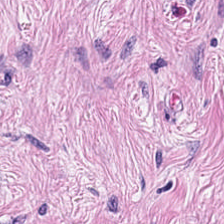H&E-stained tissue section; FFPE tissue section.
The predominant tissue is tumor stroma.
